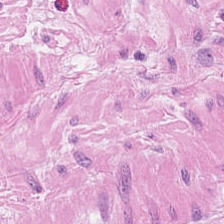Formalin-fixed paraffin-embedded section · hematoxylin and eosin. The tissue here is smooth muscle.
